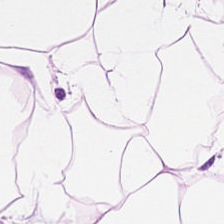Hematoxylin-and-eosin stained section.
Showing adipose.
